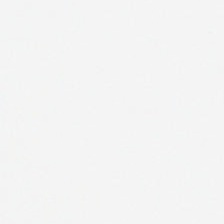Hematoxylin-and-eosin stained section — This field is background (no tissue).
